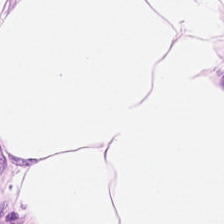H&E stain.
Showing adipocytes.
